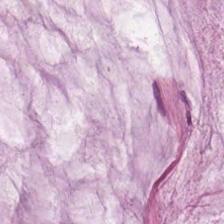WSI patch · hematoxylin and eosin — The tissue here is mucin.
